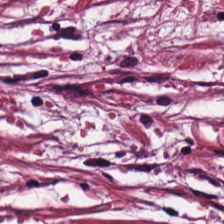This patch shows desmoplastic stroma.
